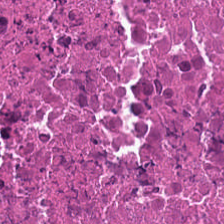Hematoxylin-and-eosin stained section. Tissue type: debris.
